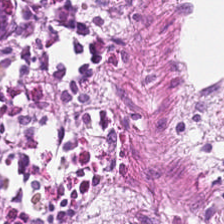Hematoxylin-and-eosin stained section; 0.5 µm/px.
Q: What tissue type is shown here?
A: Non-neoplastic colon mucosa.
